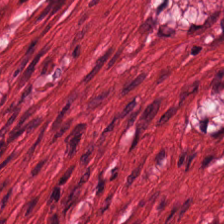Stain: hematoxylin-and-eosin stained section.
Tissue type: smooth muscle.
